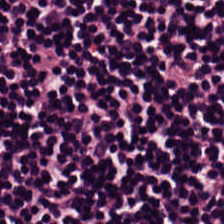224×224 px tile · H&E · FFPE tissue section. The tissue here is lymphocytic infiltrate.
